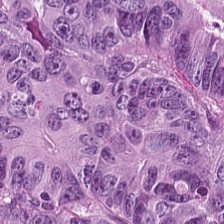Hematoxylin-and-eosin stained section — Q: What tissue type is shown here?
A: This is adenocarcinoma.
